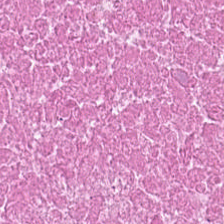The predominant tissue is debris.
